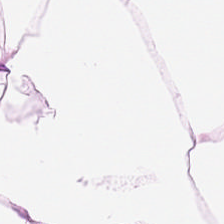Stain: hematoxylin-and-eosin stained section.
Acquisition: whole-slide-image patch.
Classification: adipocytes.
